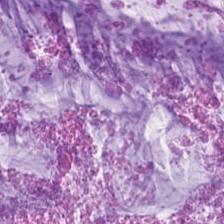H&E stain; 0.5 µm per pixel — Histology — extracellular mucin.
